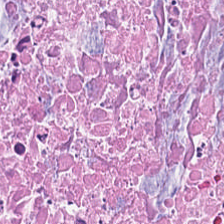Hematoxylin and eosin; FFPE tissue section.
This patch shows necrotic debris.
